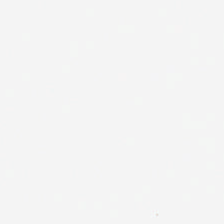H&E · brightfield · 0.5 µm/px — The field content is background (no tissue).
